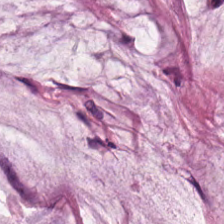Hematoxylin-and-eosin stained section — Classification: mucin.
